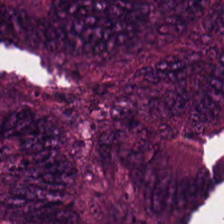0.5 µm per pixel. WSI patch. Hematoxylin and eosin. The tissue type is adenocarcinoma.
